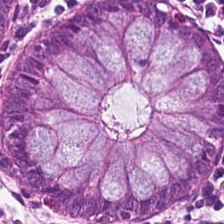Stain: H&E-stained tissue section.
Preparation: FFPE tissue section.
Tissue class: normal colon mucosa.
